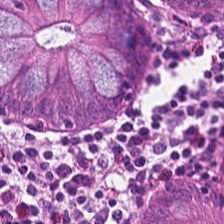Tissue = benign colonic mucosa.
